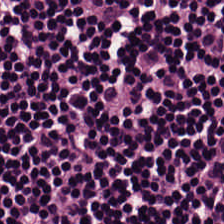Formalin-fixed paraffin-embedded section; H&E-stained tissue section — Q: What is shown here?
A: The field shows lymphoid infiltrate.
